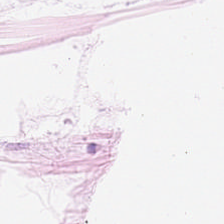Formalin-fixed paraffin-embedded section · hematoxylin and eosin · brightfield. This field is adipose tissue.
